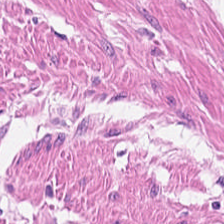Q: Classify this patch.
A: The field shows smooth muscle.
